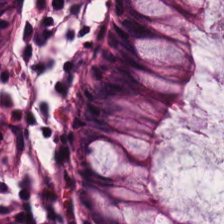Hematoxylin-and-eosin stained section. Q: Classify this patch.
A: Normal colonic mucosa.
